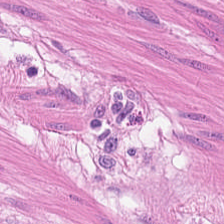FFPE · hematoxylin and eosin · 224×224 px tile.
Smooth muscle.
